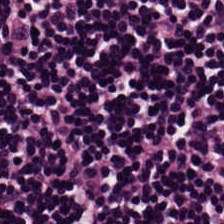Stain: hematoxylin-and-eosin stained section.
Tissue: lymphocyte aggregate.
